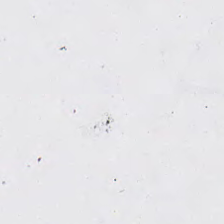Stain: hematoxylin and eosin.
Content: background (no tissue).
